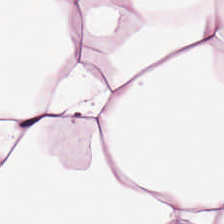FFPE tissue section · H&E stain.
Adipose tissue.
